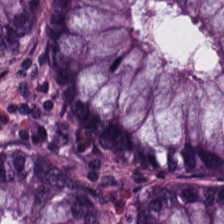H&E-stained tissue section. The tissue here is benign colonic mucosa.
